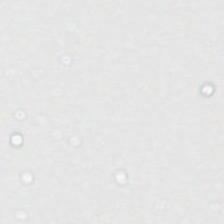Stain: H&E.
Field content: no tissue.
